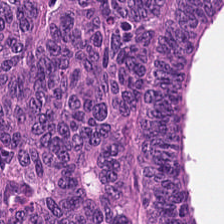The predominant tissue is adenocarcinoma.
